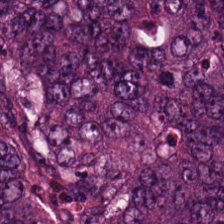Predominant tissue — malignant epithelium.
